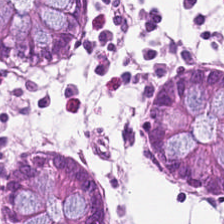H&E; whole-slide-image patch — Predominantly normal colonic mucosa.
